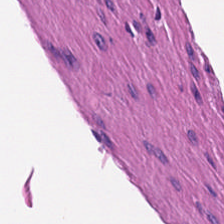Hematoxylin-and-eosin stained section — Showing smooth-muscle tissue.
